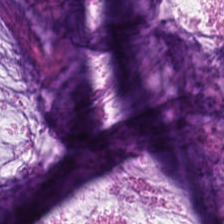Hematoxylin-and-eosin stained section. Predominantly extracellular mucin.
